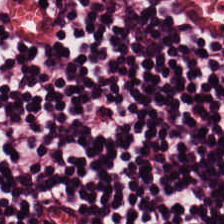224×224 px patch; H&E stain — This field is lymphoid infiltrate.
